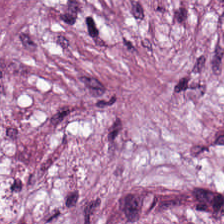H&E stain. Cancer-associated stroma.
